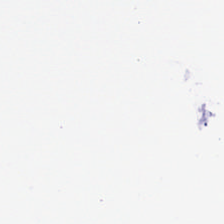H&E stain. Impression — empty background.
